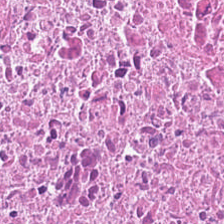Hematoxylin and eosin. Brightfield microscopy. 0.5 microns per pixel — Q: What is shown in this field?
A: This is debris.
